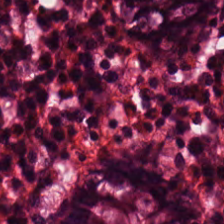224×224 pixel tile · FFPE tissue section · H&E.
Tissue class: normal colonic mucosa.
